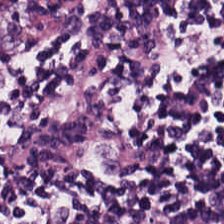0.5 microns per pixel; H&E; 224×224 pixel tile — The predominant tissue is lymphocytes.
